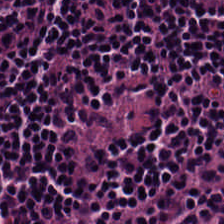The tissue type is lymphocytic infiltrate.
